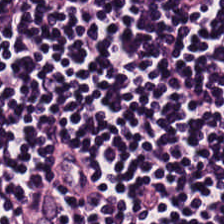H&E; brightfield — Finding — lymphocytic infiltrate.
